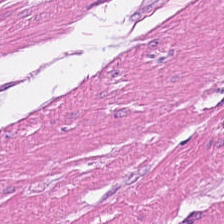Whole-slide-image patch · H&E stain — Q: What is the predominant tissue type?
A: It is muscularis.
